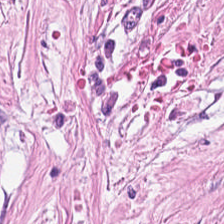FFPE tissue section. 224×224 px tile. Hematoxylin-and-eosin stained section.
Q: Identify the tissue.
A: It is desmoplastic stroma.
